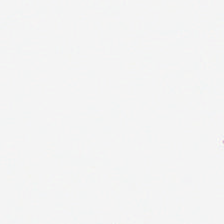Hematoxylin-and-eosin stained section.
Content — background (no tissue).
